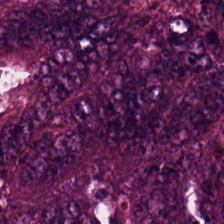The tissue here is tumor epithelium.
